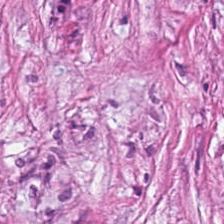Tumor stroma.
